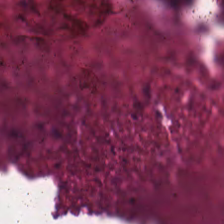H&E — This patch shows necrotic debris.
